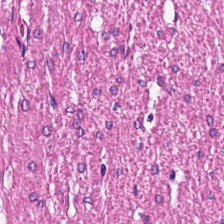H&E-stained tissue section.
Tissue class — muscularis.
